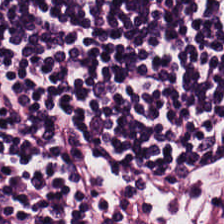H&E stain — Predominant tissue — lymphocyte aggregate.
